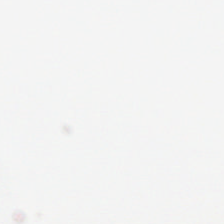H&E-stained tissue section — Content: empty background.
